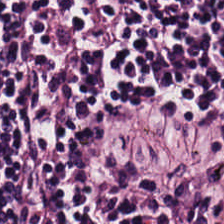H&E · 0.5 microns per pixel — Q: Classify this patch.
A: Lymphocyte aggregate.
